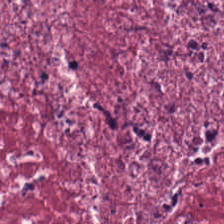The tissue class is tumor-associated stroma.
